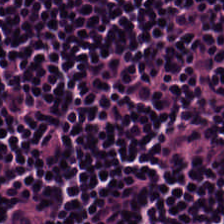0.5 microns per pixel; hematoxylin and eosin — Q: What tissue type is shown here?
A: Lymphocytes.
